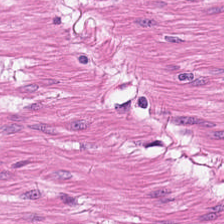Formalin-fixed paraffin-embedded section. Hematoxylin and eosin.
Q: What type of tissue is this?
A: Muscularis.
